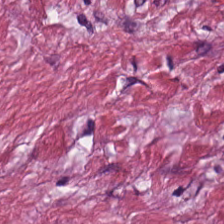H&E · FFPE tissue section · 224×224 px patch — This field is tumor-associated stroma.
